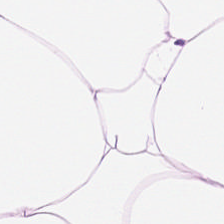0.5 µm per pixel; H&E stain; brightfield microscopy. Q: What is the predominant tissue type?
A: This is adipocytes.
